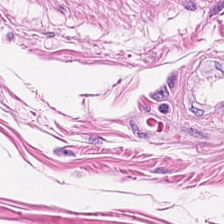H&E-stained tissue section. Q: Identify the tissue.
A: It is muscularis.
